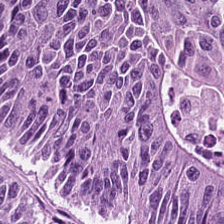Hematoxylin-and-eosin stained section. The tissue here is colorectal adenocarcinoma.
